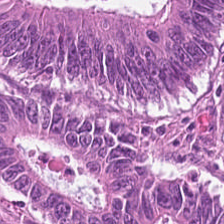WSI patch; H&E; FFPE tissue section.
Predominantly colorectal adenocarcinoma epithelium.
